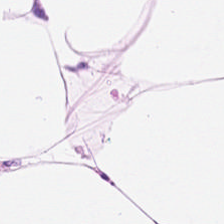H&E-stained tissue section. Q: What is the predominant tissue type?
A: Adipose.
